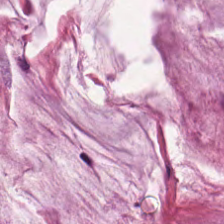Formalin-fixed paraffin-embedded section. Hematoxylin and eosin.
Tissue: mucus.
